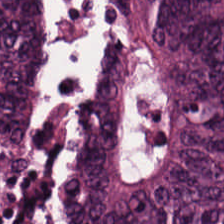H&E. This field is tumor epithelium.
